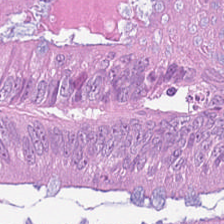Tissue type: malignant epithelium.
